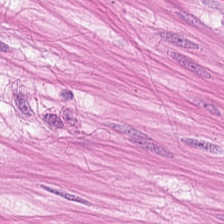H&E stain. This field is smooth-muscle tissue.
